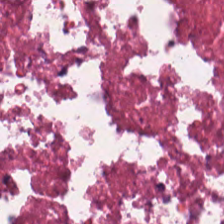H&E stain.
Classification = necrotic debris.
